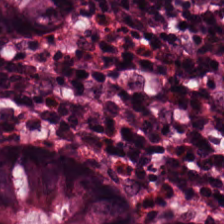Hematoxylin and eosin. Formalin-fixed paraffin-embedded section.
{"tissue_type": "non-neoplastic colon mucosa"}
